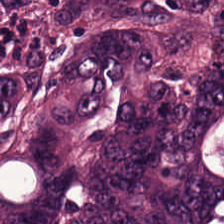The predominant tissue is adenocarcinoma.
